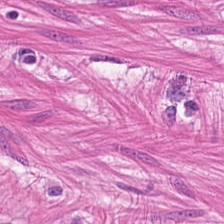Smooth-muscle tissue.
